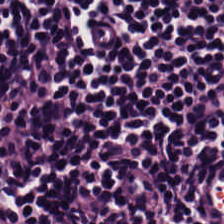224×224 pixel tile; H&E; FFPE tissue section.
Tissue type — lymphocytes.
